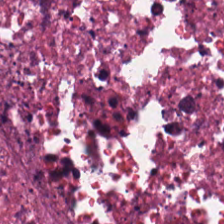Q: What tissue type is shown here?
A: Cellular debris.
